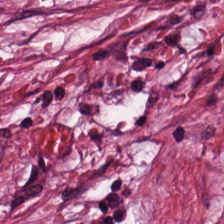Classification: tumor stroma.
